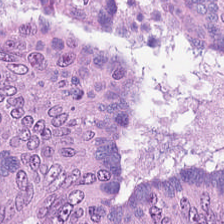The tissue class is adenocarcinoma.
